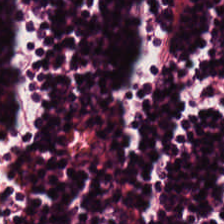Predominantly lymphocytes.
